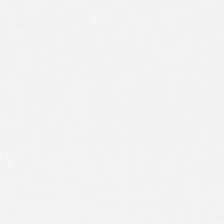H&E stain.
Q: What is shown in this field?
A: It is background (no tissue).
